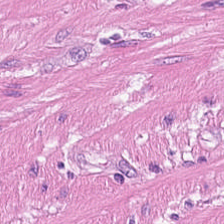Q: Identify the tissue.
A: This is smooth-muscle tissue.
